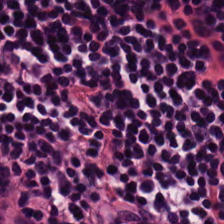0.5 microns per pixel; H&E stain — Predominant tissue: lymphocytes.
